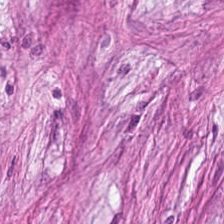Q: What is shown in this field?
A: The field shows cancer-associated stroma.
